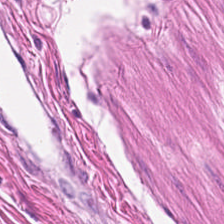Q: What tissue is shown?
A: This is smooth-muscle tissue.
